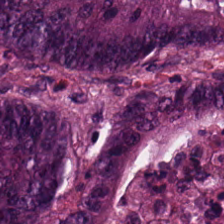H&E-stained tissue section. Tissue type — colorectal adenocarcinoma.
